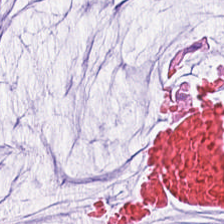H&E stain. Q: What does this patch show?
A: This is mucin.
